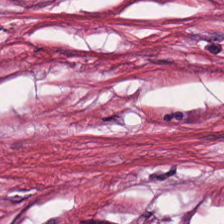Stain: hematoxylin-and-eosin stained section.
Tissue type: tumor-associated stroma.
